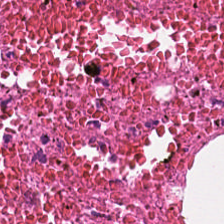Hematoxylin-and-eosin stained section — Histology → necrotic debris.
